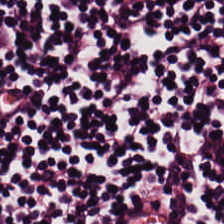Hematoxylin-and-eosin stained section · brightfield microscopy · 0.5 µm/px.
The tissue class is lymphocyte aggregate.
